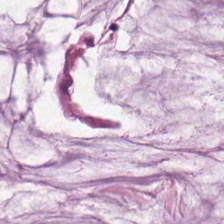Hematoxylin and eosin.
The predominant tissue is mucin.
